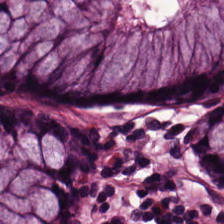H&E stain; formalin-fixed paraffin-embedded section. Tissue class = normal colon mucosa.
